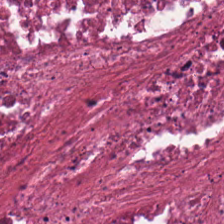H&E-stained tissue section.
Impression — debris.
